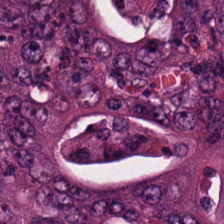Tissue = adenocarcinoma.
